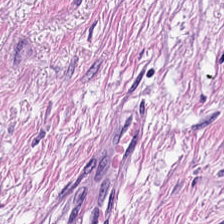Classification: muscularis.
